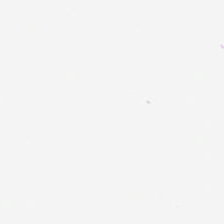FFPE tissue section; H&E stain. The classification is background.
